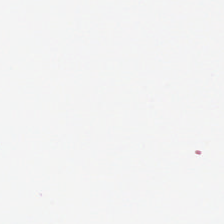H&E stain · 20× equivalent magnification — Q: What does this patch show?
A: This is no tissue.
